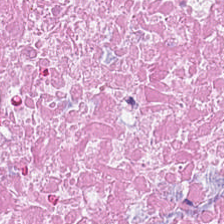H&E; brightfield.
Q: What is shown here?
A: The field shows debris.
